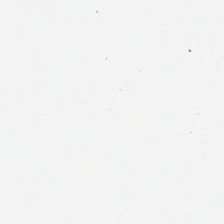H&E stain.
Q: What is shown in this field?
A: This is background.
